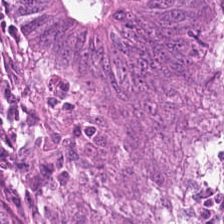Hematoxylin and eosin. Q: What tissue is shown?
A: It is colorectal adenocarcinoma.
